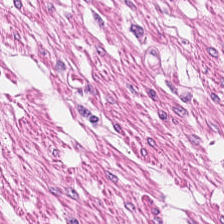Hematoxylin-and-eosin stained section. The predominant tissue is muscularis.
